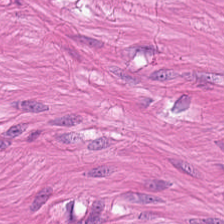H&E-stained tissue section. 224×224 px tile. Q: What is shown in this field?
A: The field shows muscularis.
